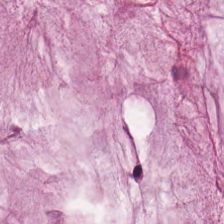This field is extracellular mucin.
